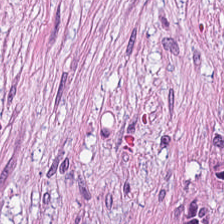Hematoxylin and eosin. Finding — tumor stroma.
